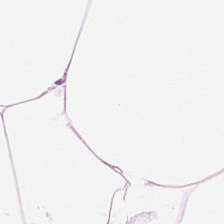H&E. Showing adipocytes.
